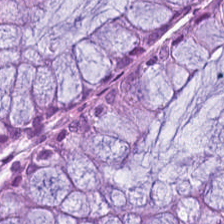FFPE tissue section · H&E-stained tissue section.
The classification is non-neoplastic colon mucosa.
